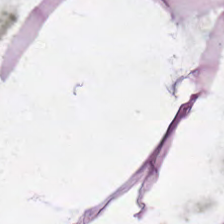H&E. WSI patch — Tissue class: adipose tissue.
